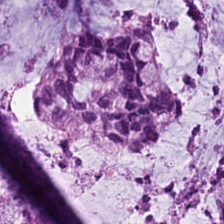{"tissue_type": "mucin"}
